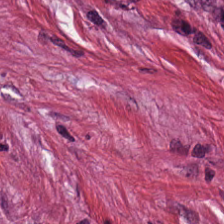The predominant tissue is tumor-associated stroma.
